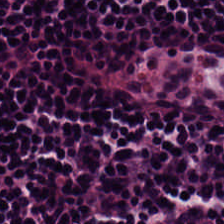Brightfield · H&E. Q: Classify this patch.
A: This is lymphocyte aggregate.
